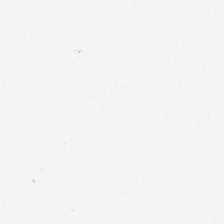H&E stain. Empty field — empty background.
